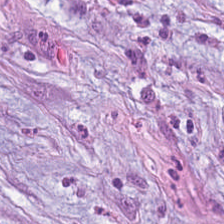H&E. The tissue here is cancer-associated stroma.
